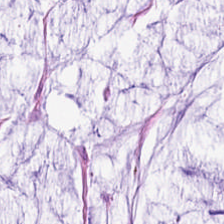Q: Identify the tissue.
A: It is mucus.
